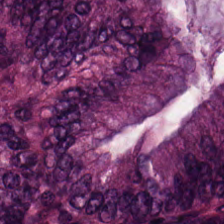Hematoxylin and eosin. 0.5 µm/px. Predominantly colorectal adenocarcinoma epithelium.
